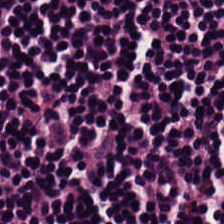Stain: hematoxylin and eosin.
Tissue type: lymphocytes.
